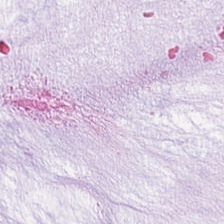H&E-stained tissue section.
Tissue — mucus.
